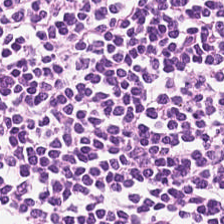224×224 px tile; whole-slide-image patch; hematoxylin-and-eosin stained section. Predominant tissue = lymphocyte aggregate.
